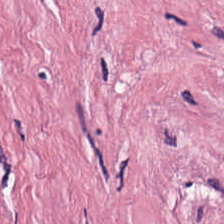Hematoxylin and eosin — This patch shows cancer-associated stroma.
